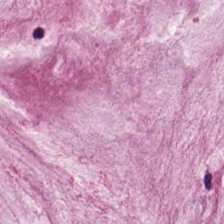Q: What type of tissue is this?
A: It is mucin.
